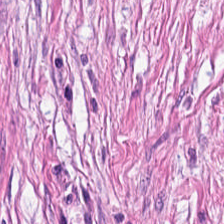Hematoxylin-and-eosin stained section. Desmoplastic stroma.
